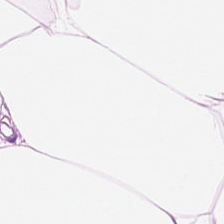Hematoxylin and eosin.
This patch shows adipose tissue.
